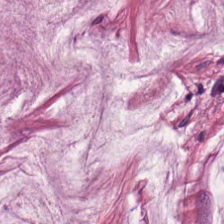Stain: H&E-stained tissue section.
Tile size: 224×224 pixel tile.
Tissue: mucin.
